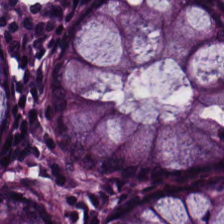H&E · 0.5 µm per pixel — Histology → benign colonic mucosa.
